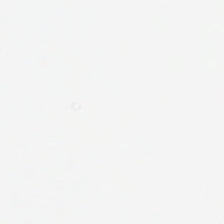0.5 µm per pixel · hematoxylin-and-eosin stained section. Empty field — background (no tissue).
